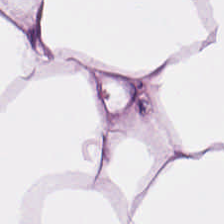H&E stain; FFPE. This field is fat tissue.
